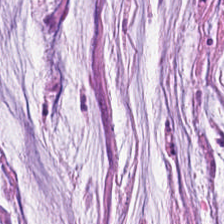Hematoxylin and eosin. This patch shows mucus.
